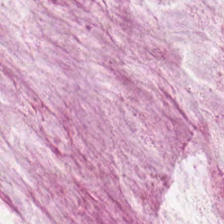Predominantly extracellular mucin.
